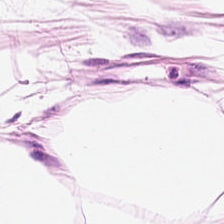Finding → adipose tissue.
